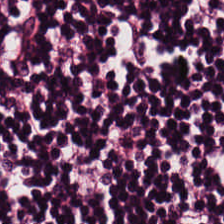Predominant tissue: lymphocytes.
